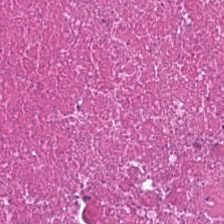H&E-stained tissue section. 224×224 px patch. FFPE — {"tissue_type": "cellular debris"}
